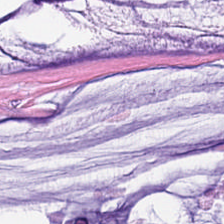FFPE · H&E · 0.5 µm per pixel. Q: Classify this patch.
A: It is mucin.
